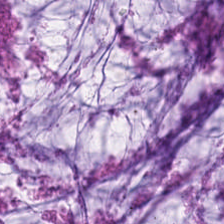224×224 pixel tile. FFPE tissue section. H&E-stained tissue section.
Histology → extracellular mucin.
